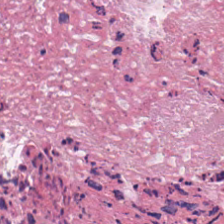H&E-stained tissue section — Finding — necrotic debris.
